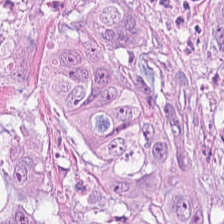Hematoxylin and eosin. Q: Classify this patch.
A: It is adenocarcinoma.
